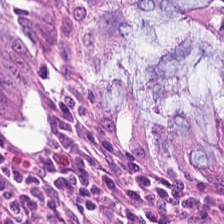Hematoxylin-and-eosin stained section; WSI patch; FFPE tissue section. Tissue class = benign colonic mucosa.
